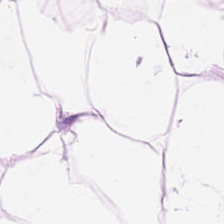H&E-stained tissue section — Q: What is the predominant tissue type?
A: It is adipose tissue.
